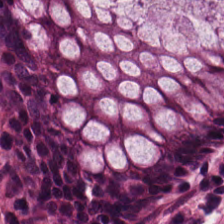Formalin-fixed paraffin-embedded section · 224×224 pixel tile · H&E — This field is normal colonic mucosa.
